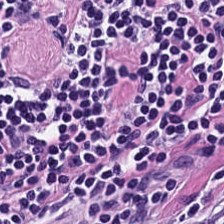Hematoxylin-and-eosin stained section — The tissue here is lymphocytes.
